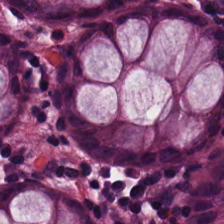224×224 pixel tile · WSI patch · H&E. Q: What is the predominant tissue type?
A: It is benign colonic mucosa.
